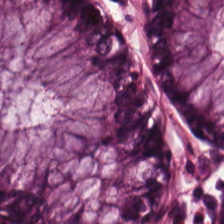Hematoxylin and eosin — Tissue class: benign colonic mucosa.
